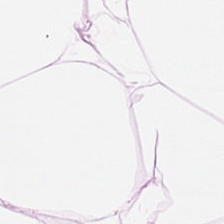Hematoxylin-and-eosin stained section; FFPE tissue section; 0.5 µm per pixel — Classification = adipose tissue.
